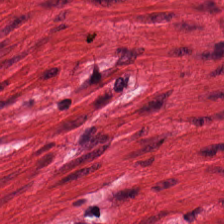Stain: H&E.
Predominant tissue: muscularis.
